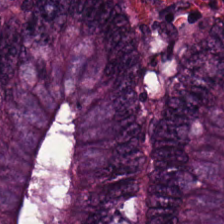H&E.
This patch shows adenocarcinoma.
